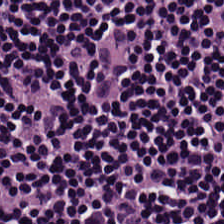Finding — lymphocyte aggregate.
